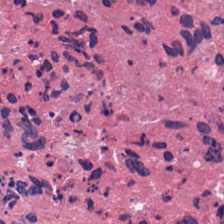Q: What type of tissue is this?
A: It is necrotic debris.
